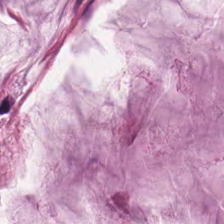0.5 µm per pixel. H&E stain — Tissue class: mucin.
